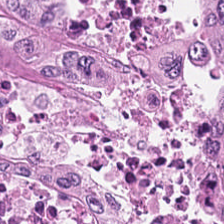H&E-stained tissue section — Tissue class: tumor epithelium.
